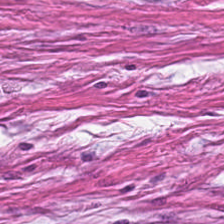Classification — desmoplastic stroma.
